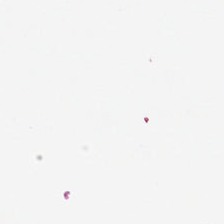H&E. This patch shows background (no tissue).
